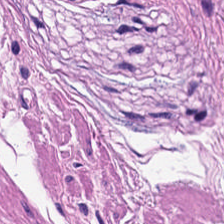Stain: hematoxylin-and-eosin stained section.
Predominant tissue: muscularis.
